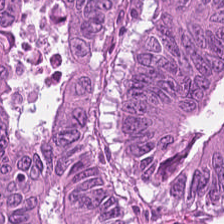Stain: H&E.
Tissue type: malignant epithelium.
